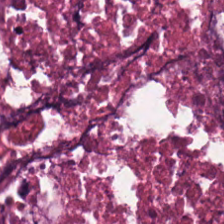Hematoxylin and eosin. This patch shows cellular debris.
